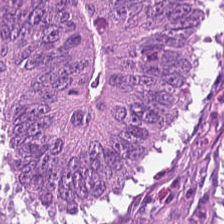H&E — This patch shows malignant epithelium.
